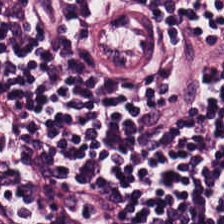Stain: hematoxylin and eosin.
Predominant tissue: lymphocytes.
